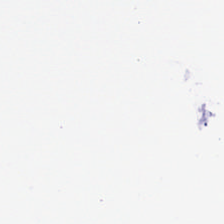FFPE; whole-slide-image patch; H&E. Q: Classify this patch.
A: Background.
